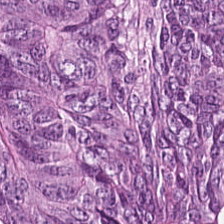{"tissue_type": "adenocarcinoma"}
